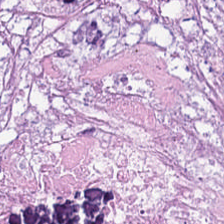FFPE tissue section. 224×224 px patch. H&E stain — The tissue is cellular debris.
